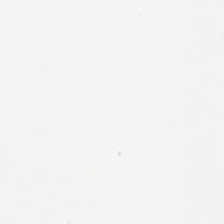H&E stain — Content — background (no tissue).
